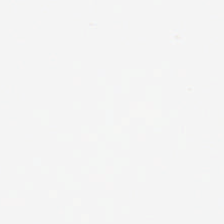Hematoxylin and eosin. Impression → no tissue.
